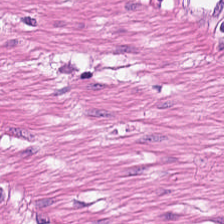H&E-stained tissue section.
The tissue class is smooth muscle.
